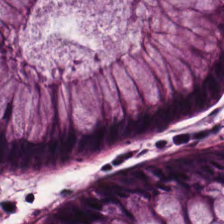0.5 µm per pixel · formalin-fixed paraffin-embedded section · H&E.
Finding → non-neoplastic colon mucosa.
